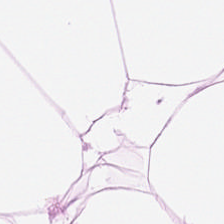0.5 µm per pixel; hematoxylin-and-eosin stained section; 224×224 px patch. Q: What tissue is shown?
A: It is fat tissue.
